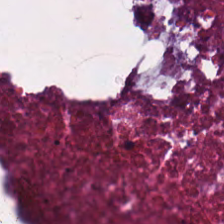Hematoxylin-and-eosin stained section. 0.5 µm/px. Whole-slide-image patch. Showing cellular debris.
